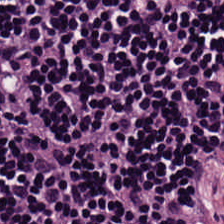Formalin-fixed paraffin-embedded section; hematoxylin and eosin. Q: What does this patch show?
A: Lymphoid infiltrate.
